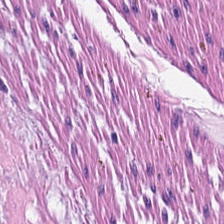224×224 pixel tile. Brightfield microscopy. H&E. Smooth-muscle tissue.
